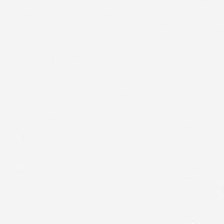Brightfield. H&E stain. 0.5 µm/px — Background (no tissue).
